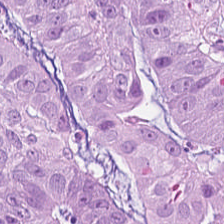The tissue type is colorectal adenocarcinoma.
